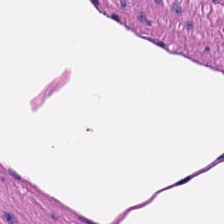Smooth muscle.
